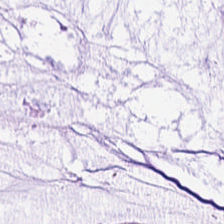Histology → extracellular mucin.
